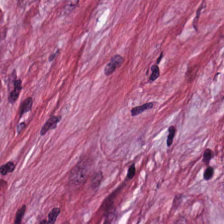H&E-stained tissue section · formalin-fixed paraffin-embedded section. Cancer-associated stroma.
